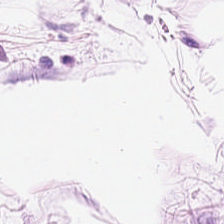Hematoxylin and eosin · 20× equivalent magnification. This field is adipocytes.
